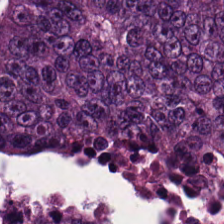H&E — Tissue type = tumor epithelium.
